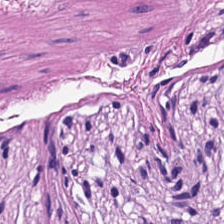Hematoxylin and eosin — The predominant tissue is muscularis.
